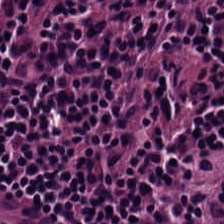Predominantly lymphoid infiltrate.
